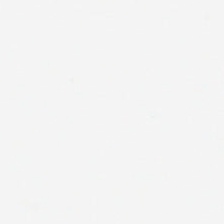H&E-stained tissue section. Background — no tissue in this field.
